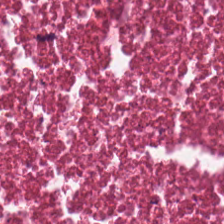Hematoxylin and eosin. 0.5 µm/px — The predominant tissue is cellular debris.
